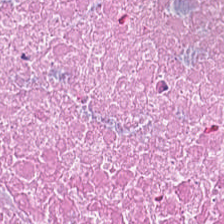FFPE. Hematoxylin-and-eosin stained section — Tissue: cellular debris.
